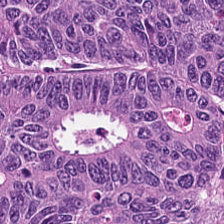Tissue class — tumor epithelium.
